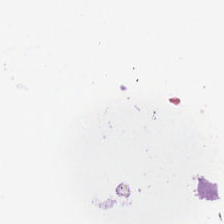Hematoxylin-and-eosin stained section.
Q: What does this patch show?
A: It is no tissue.
